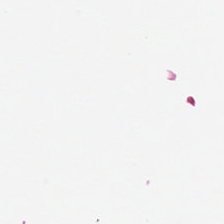Stain: H&E-stained tissue section.
Content: no tissue.
